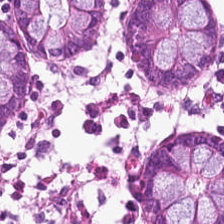The tissue is non-neoplastic colon mucosa.
